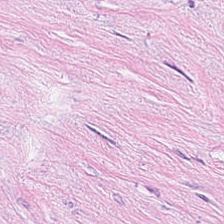Brightfield microscopy. Hematoxylin and eosin. 224×224 pixel tile. Showing tumor stroma.
